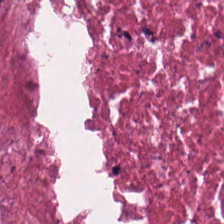Hematoxylin-and-eosin section: debris.
